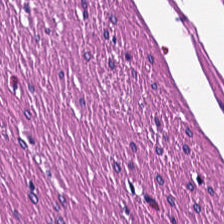FFPE; H&E stain — Q: Classify this patch.
A: This is smooth muscle.
